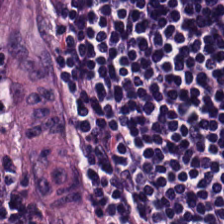0.5 microns per pixel; hematoxylin and eosin. Lymphocytes.
